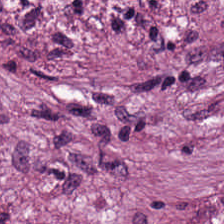224×224 pixel tile; H&E stain; 0.5 microns per pixel.
{"tissue_type": "desmoplastic stroma"}
